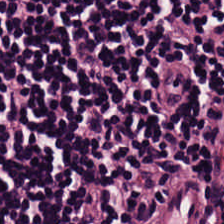{"tissue_type": "lymphocyte aggregate"}
